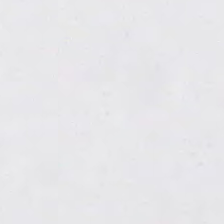This field is background (no tissue).
